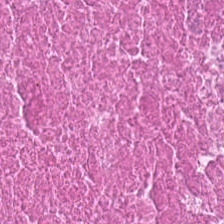Formalin-fixed paraffin-embedded section. Hematoxylin-and-eosin stained section — Showing debris.
